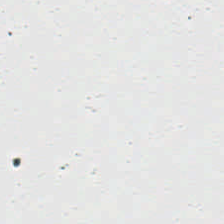Hematoxylin and eosin; 224×224 pixel tile; brightfield. Impression — background (no tissue).
